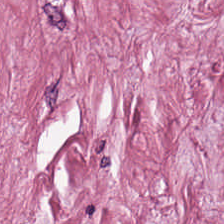H&E stain. Predominantly desmoplastic stroma.
